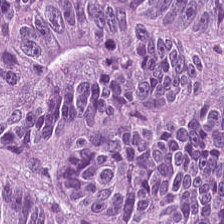Stain: H&E-stained tissue section.
Tissue: colorectal adenocarcinoma epithelium.
